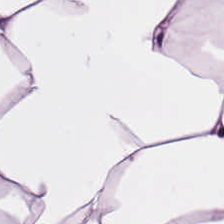Hematoxylin-and-eosin section: adipose.
